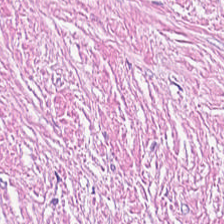Hematoxylin and eosin.
The predominant tissue is tumor stroma.
